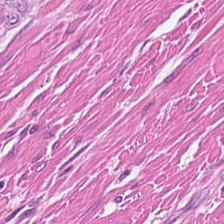FFPE; H&E stain; 224×224 pixel tile — Q: What is shown here?
A: Smooth-muscle tissue.
